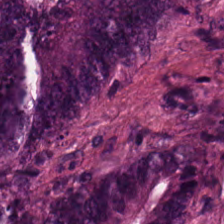H&E-stained tissue section — Showing adenocarcinoma.
